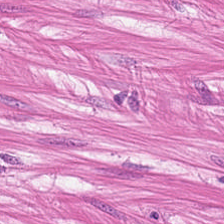Hematoxylin and eosin. Showing smooth-muscle tissue.
